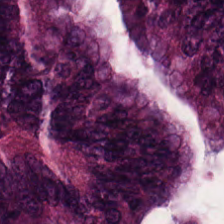Stain: hematoxylin and eosin.
Tissue: adenocarcinoma.
